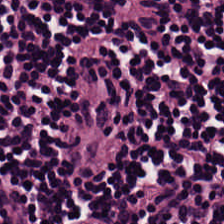H&E — Impression — lymphocyte aggregate.
